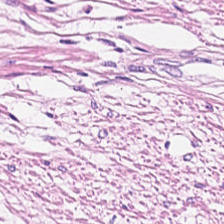H&E stain. This patch shows muscularis.
